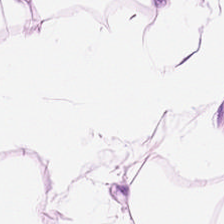Hematoxylin and eosin — Showing adipocytes.
